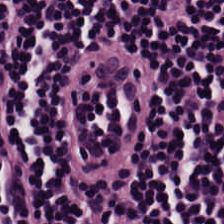Hematoxylin-and-eosin stained section; 0.5 microns per pixel. This patch shows lymphoid infiltrate.
